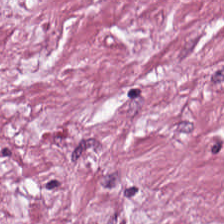Hematoxylin-and-eosin section: tumor stroma.
